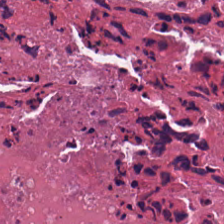This field is cellular debris.
